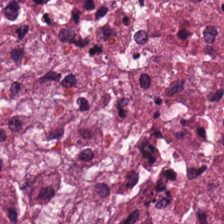20× equivalent magnification. Brightfield. Hematoxylin and eosin. Finding → debris.
